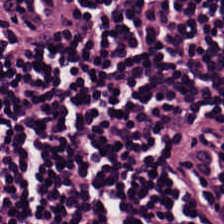Q: What is shown here?
A: It is lymphocytic infiltrate.
